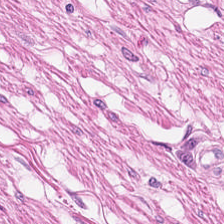H&E patch showing muscularis.
